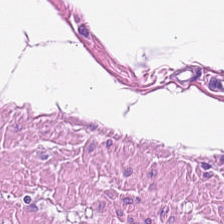H&E stain — Predominantly muscularis.
